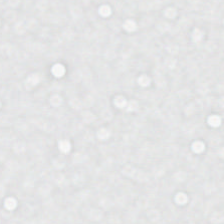20× equivalent magnification; H&E-stained tissue section.
Histology → empty background.
